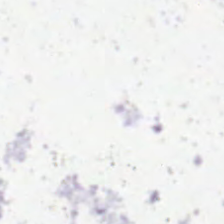{"content": "empty background"}
